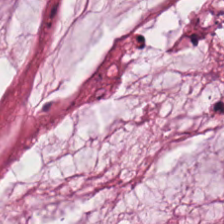Classification — extracellular mucin.
